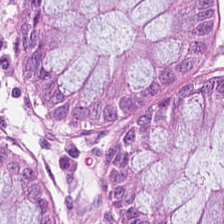Formalin-fixed paraffin-embedded section; H&E-stained tissue section — Finding → normal colonic mucosa.
